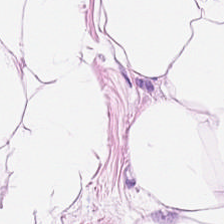H&E-stained section; the field shows fat tissue.
